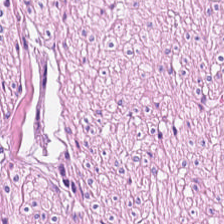Predominantly smooth-muscle tissue.
